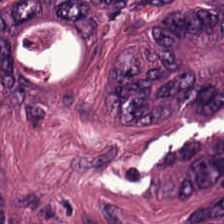H&E-stained tissue section · whole-slide-image patch · 20× equivalent magnification.
The tissue type is colorectal adenocarcinoma epithelium.
